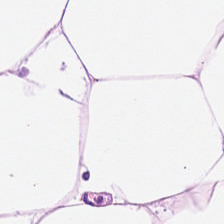Hematoxylin and eosin. Tissue class — adipocytes.
